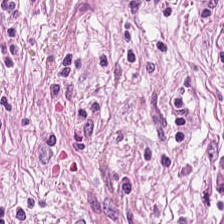H&E-stained section; the field shows desmoplastic stroma.
